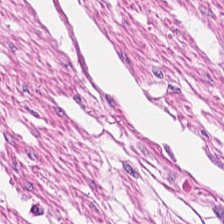Muscularis.
